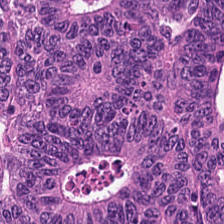Formalin-fixed paraffin-embedded section; H&E; 224×224 pixel tile.
This patch shows colorectal adenocarcinoma.
